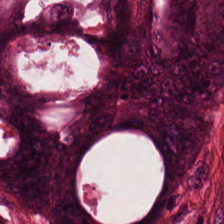H&E stain. Histology — malignant epithelium.
